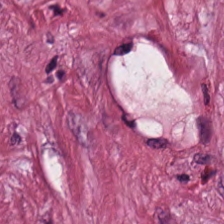224×224 pixel tile; H&E.
Predominantly desmoplastic stroma.
